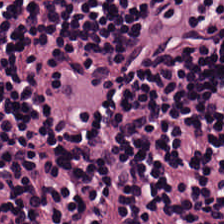H&E-stained tissue section; FFPE tissue section. Histology → lymphocyte aggregate.
